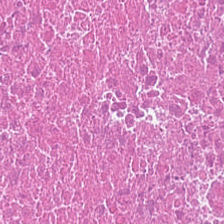Stain: H&E stain.
Tile size: 224×224 pixel tile.
Tissue class: necrotic debris.
